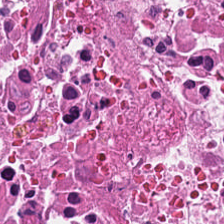Brightfield · FFPE · H&E-stained tissue section. Q: What tissue is shown?
A: It is cellular debris.
